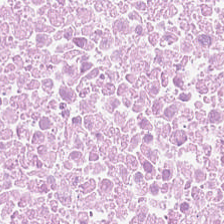Tissue: debris.
